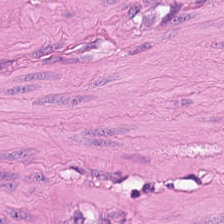224×224 px patch; H&E.
Showing smooth-muscle tissue.
